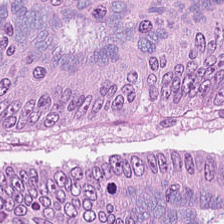Hematoxylin-and-eosin stained section — This field is malignant epithelium.
